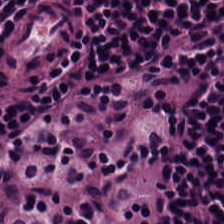Stain: hematoxylin and eosin.
Classification: lymphoid infiltrate.
